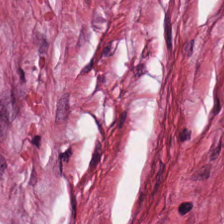Hematoxylin-and-eosin stained section — Histology — desmoplastic stroma.
